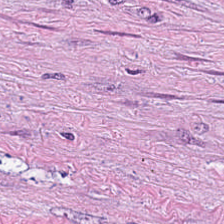H&E — This field is tumor stroma.
